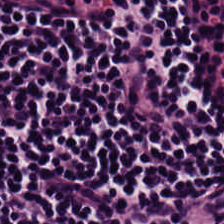0.5 µm/px. Hematoxylin and eosin. Lymphocytes.
